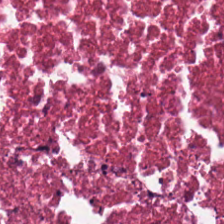H&E-stained tissue section. 224×224 pixel tile. 20× equivalent magnification — Tissue — debris.
